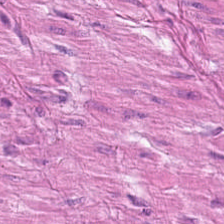H&E-stained tissue section; 224×224 px patch.
Smooth-muscle tissue.
